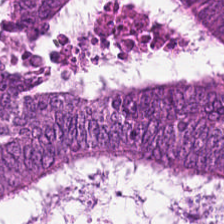{"tissue_type": "malignant epithelium"}
